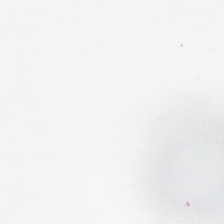Stain: hematoxylin-and-eosin stained section.
Resolution: 0.5 µm/px.
Content: empty background.
